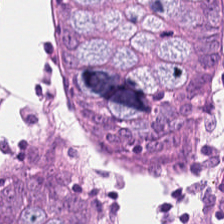Hematoxylin and eosin; brightfield. This patch shows normal colon mucosa.
